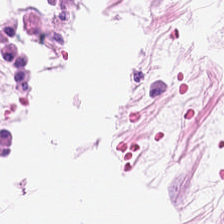H&E-stained tissue section · FFPE. Finding — fat tissue.
